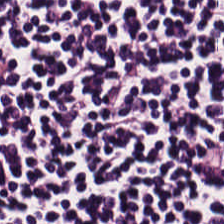Stain: hematoxylin-and-eosin stained section.
Classification: lymphocyte aggregate.
